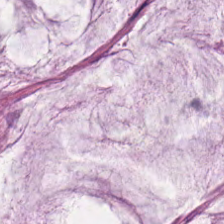{"tissue_type": "extracellular mucin"}
